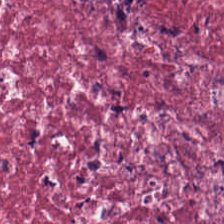H&E-stained tissue section.
Classification: tumor-associated stroma.
